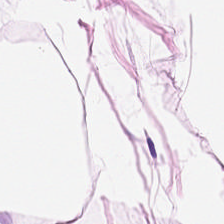Hematoxylin-and-eosin stained section — Fat tissue.
